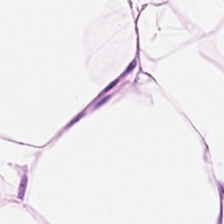Q: What is the predominant tissue type?
A: This is adipose tissue.
